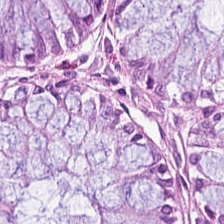Hematoxylin-and-eosin stained section — Finding → benign colonic mucosa.
